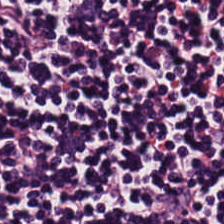H&E-stained tissue section; 224×224 px tile. Finding → lymphocytic infiltrate.
